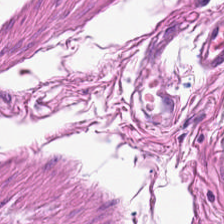Impression — smooth-muscle tissue.
